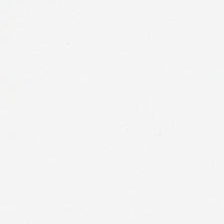H&E — Content — empty background.
